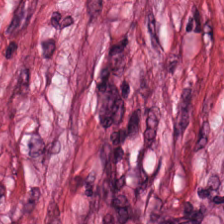Stain: hematoxylin-and-eosin stained section.
Tile size: 224×224 px tile.
Tissue class: tumor stroma.
